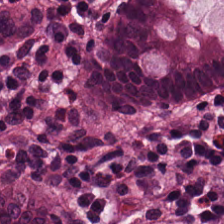H&E. The predominant tissue is normal colon mucosa.
